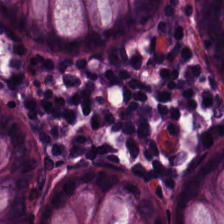FFPE tissue section; 0.5 µm per pixel; H&E stain — This patch shows normal colonic mucosa.
